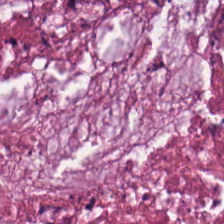Q: What is shown here?
A: It is necrotic debris.
